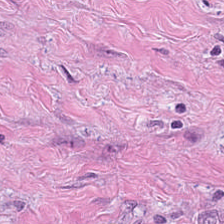Tissue class: tumor stroma.
